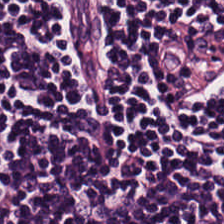Formalin-fixed paraffin-embedded section; H&E — The classification is lymphocyte aggregate.
